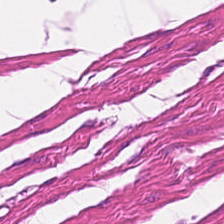H&E patch showing smooth-muscle tissue.
